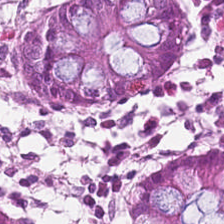Hematoxylin and eosin. WSI patch — Predominantly normal colonic mucosa.
